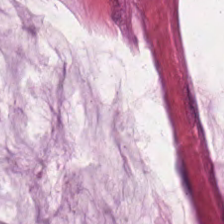Stain: H&E.
Preparation: formalin-fixed paraffin-embedded section.
Tile size: 224×224 px patch.
Predominant tissue: mucus.
